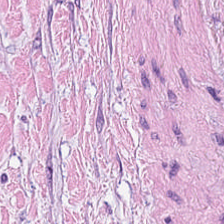H&E. The predominant tissue is tumor stroma.
